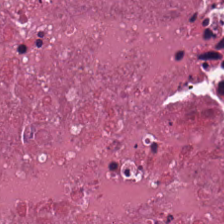224×224 pixel tile. Formalin-fixed paraffin-embedded section. Hematoxylin-and-eosin stained section. Predominantly cellular debris.
